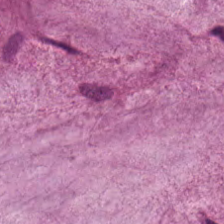Classification = mucus.
